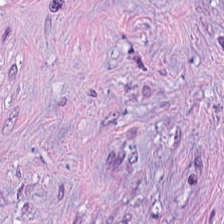H&E. The predominant tissue is tumor stroma.
